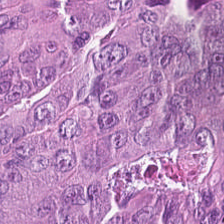Formalin-fixed paraffin-embedded section; H&E stain. Adenocarcinoma.
